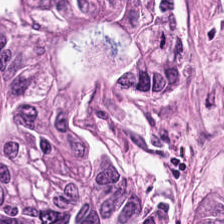Hematoxylin and eosin.
Q: What type of tissue is this?
A: Colorectal adenocarcinoma epithelium.
